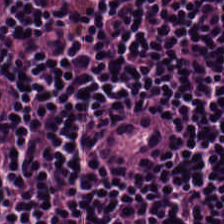Hematoxylin and eosin · 0.5 microns per pixel. Q: What type of tissue is this?
A: This is lymphocyte aggregate.
